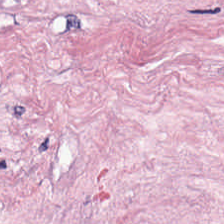Predominantly tumor-associated stroma.
